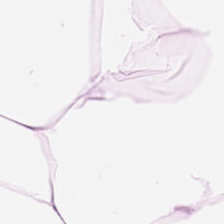Whole-slide-image patch. H&E-stained tissue section.
Q: What tissue type is shown here?
A: The field shows adipose tissue.
